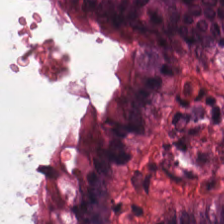Classification: benign colonic mucosa.
